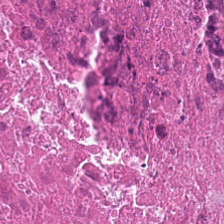Brightfield microscopy · hematoxylin-and-eosin stained section · formalin-fixed paraffin-embedded section. Impression — cellular debris.
